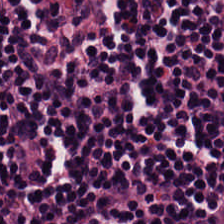Hematoxylin-and-eosin stained section. Classification — lymphoid infiltrate.
